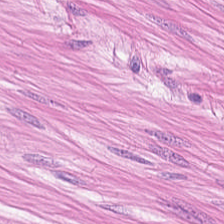Stain: H&E-stained tissue section.
Tissue: smooth-muscle tissue.
